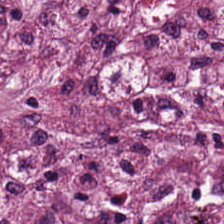H&E patch showing tumor stroma.
